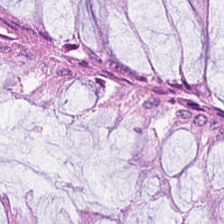Q: What is the predominant tissue type?
A: It is normal colon mucosa.
